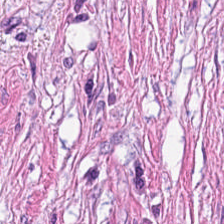H&E-stained tissue section showing tumor-associated stroma.
